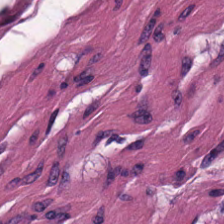Brightfield microscopy · 224×224 px tile · hematoxylin-and-eosin stained section.
Histology → muscularis.
